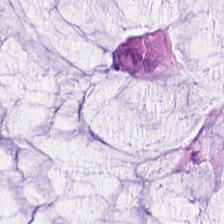Tissue type = extracellular mucin.
